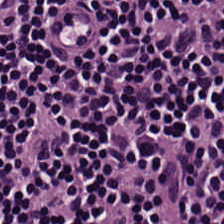Showing lymphocytic infiltrate.
